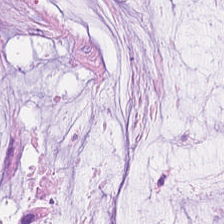224×224 px patch. Hematoxylin and eosin — The tissue here is extracellular mucin.
